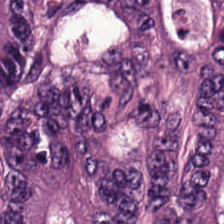H&E-stained tissue section.
The tissue here is adenocarcinoma.
